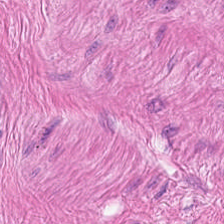H&E-stained tissue section · 224×224 px tile — The tissue class is smooth muscle.
